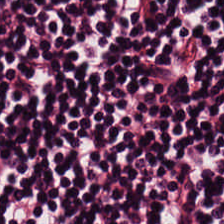H&E-stained tissue section — Tissue class = lymphocytic infiltrate.
